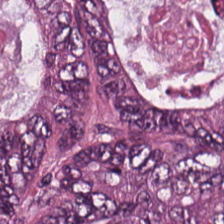Malignant epithelium.
